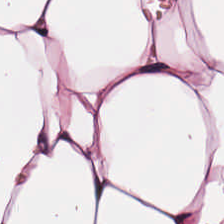224×224 px tile · H&E-stained tissue section.
Showing fat tissue.
